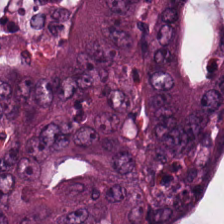Hematoxylin and eosin · 224×224 px patch. Predominant tissue: malignant epithelium.
